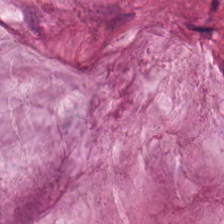Predominantly mucin.
